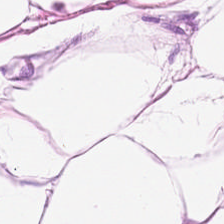H&E. Predominant tissue: adipocytes.
